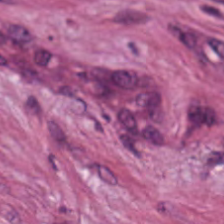Tissue = cancer-associated stroma.
